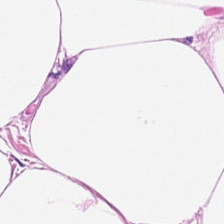{"tissue_type": "adipocytes"}
